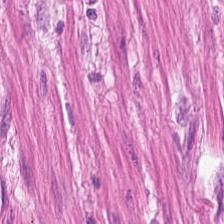WSI patch · FFPE · H&E.
Predominant tissue: muscularis.
